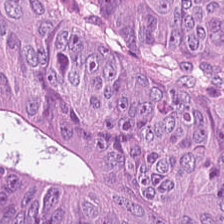Brightfield · H&E-stained tissue section — This field is malignant epithelium.
